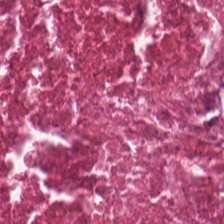H&E-stained tissue section — Predominantly debris.
